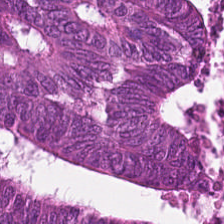H&E stain.
Classification — adenocarcinoma.
